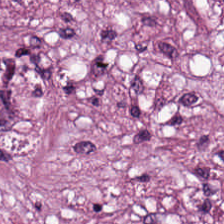Tissue — tumor-associated stroma.
